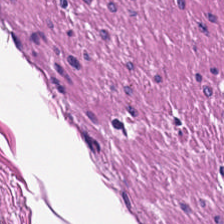FFPE tissue section. 0.5 µm/px. Hematoxylin-and-eosin stained section.
This field is smooth muscle.
